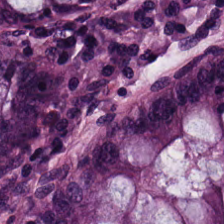H&E-stained tissue section — Predominant tissue — normal colonic mucosa.
